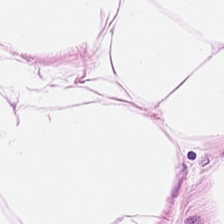20× equivalent magnification. Hematoxylin and eosin — Predominantly adipocytes.
